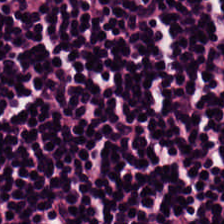H&E-stained tissue section — Q: What tissue type is shown here?
A: Lymphocytes.
